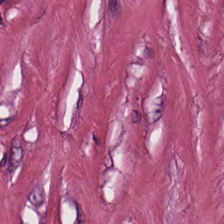This field is tumor-associated stroma.
